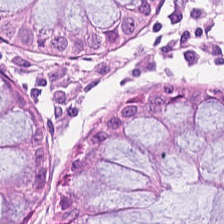Hematoxylin-and-eosin stained section.
Finding → benign colonic mucosa.
